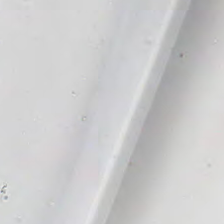H&E stain — Background.
